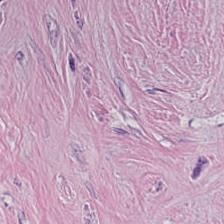Predominant tissue: tumor stroma.
